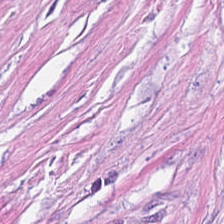Stain: hematoxylin and eosin.
Tissue type: cancer-associated stroma.
